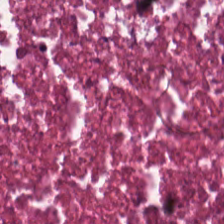Stain: hematoxylin and eosin.
Tissue type: cellular debris.
